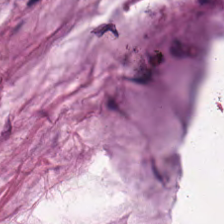H&E. FFPE tissue section. 224×224 px tile.
Classification = mucin.
